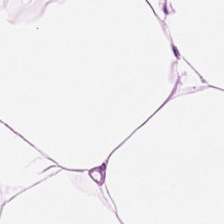Hematoxylin and eosin.
Adipose tissue.
